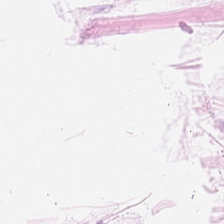Tissue — adipocytes.
